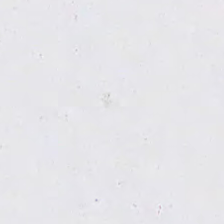H&E stain.
Impression — empty background.
